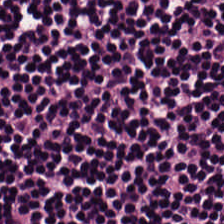0.5 µm per pixel; hematoxylin-and-eosin stained section — Q: What tissue is shown?
A: This is lymphoid infiltrate.
